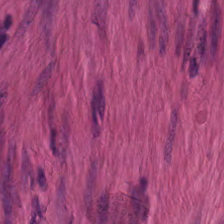Hematoxylin and eosin. Whole-slide-image patch. FFPE tissue section. The tissue here is muscularis.
